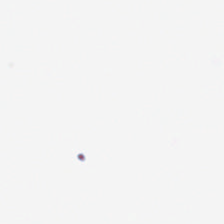H&E. Content — no tissue.
